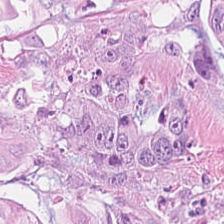H&E stain. 0.5 microns per pixel — Showing malignant epithelium.
